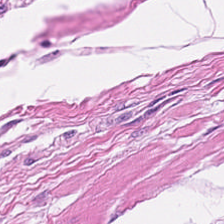Brightfield · hematoxylin-and-eosin stained section.
The classification is muscularis.
